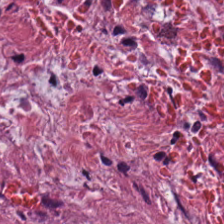Hematoxylin-and-eosin stained section. Finding — tumor stroma.
